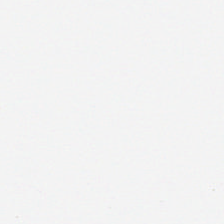Hematoxylin and eosin. Whole-slide-image patch. No tissue present; background only.
